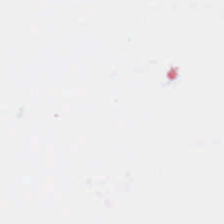H&E; 224×224 pixel tile — This patch shows empty background.
